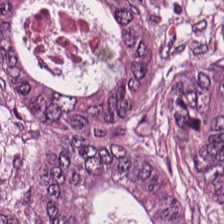The tissue here is tumor epithelium.
